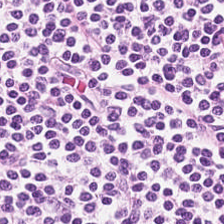20× equivalent magnification. H&E stain — Impression → lymphocytic infiltrate.
